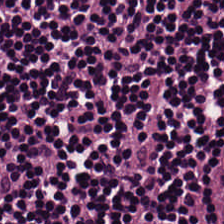H&E-stained tissue section.
The tissue here is lymphoid infiltrate.
